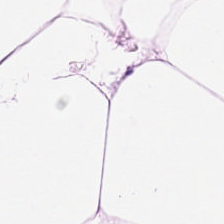Hematoxylin-and-eosin stained section — Predominant tissue: adipocytes.
